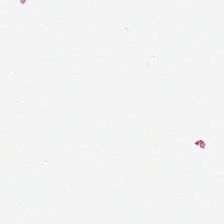H&E-stained tissue section. Q: What is shown in this field?
A: The field shows empty background.
